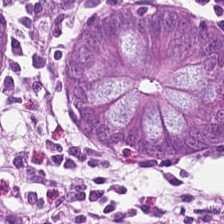Formalin-fixed paraffin-embedded section. H&E-stained tissue section. Predominantly benign colonic mucosa.
